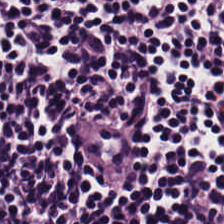Hematoxylin and eosin · brightfield microscopy. This field is lymphocytic infiltrate.
